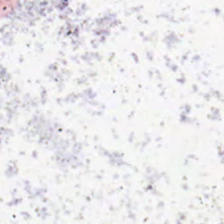Hematoxylin-and-eosin stained section. FFPE. No tissue present; background only.
